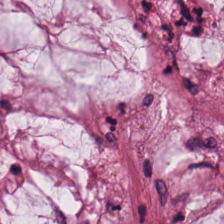H&E. Formalin-fixed paraffin-embedded section. 224×224 pixel tile.
Q: Identify the tissue.
A: This is mucus.
